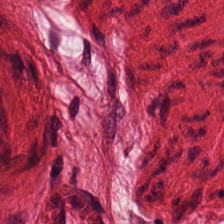H&E stain. WSI patch. 0.5 µm per pixel.
Predominantly smooth muscle.
